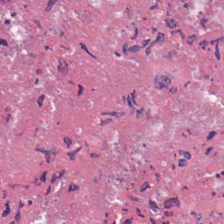224×224 px patch. Brightfield microscopy. H&E-stained tissue section. This patch shows necrotic debris.
